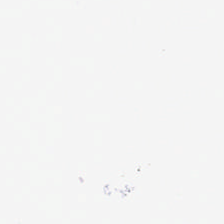H&E — Content: no tissue.
